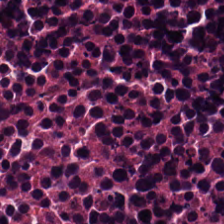H&E stain. FFPE — Tissue class: cellular debris.
